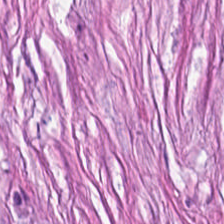H&E. Showing tumor stroma.
